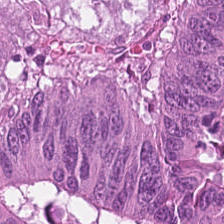H&E · 0.5 µm/px.
Q: What is shown here?
A: It is colorectal adenocarcinoma.
